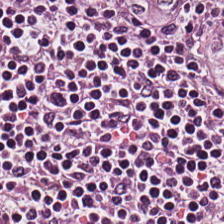The tissue here is lymphocyte aggregate.
